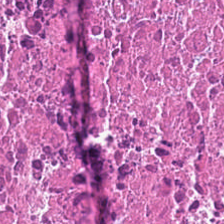Hematoxylin-and-eosin stained section — The tissue here is cellular debris.
